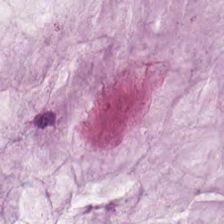H&E.
Q: What is the predominant tissue type?
A: The field shows extracellular mucin.
